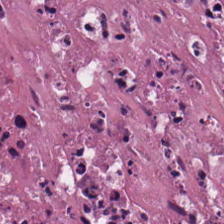Brightfield · hematoxylin-and-eosin stained section · 0.5 µm/px. The predominant tissue is cellular debris.
